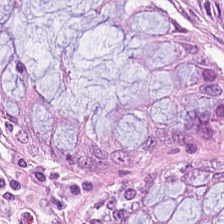H&E stain · 0.5 µm/px · brightfield microscopy — Classification = normal colon mucosa.
